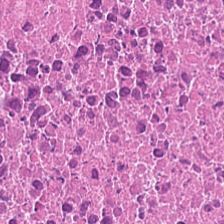Hematoxylin and eosin. FFPE tissue section — The predominant tissue is debris.
